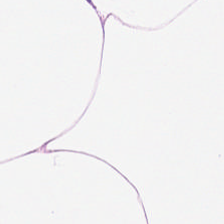H&E — Showing fat tissue.
